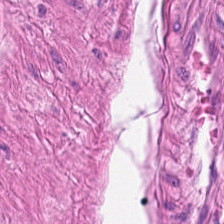Hematoxylin-and-eosin section: muscularis.
